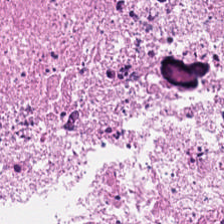The tissue class is cellular debris.
